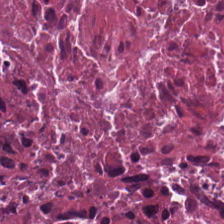Hematoxylin-and-eosin stained section — The predominant tissue is necrotic debris.
